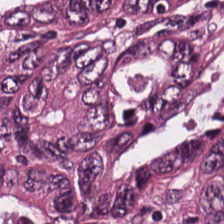H&E — This patch shows tumor epithelium.
